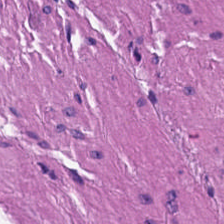H&E stain · 224×224 pixel tile. Showing smooth muscle.
